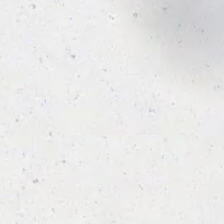H&E stain — Q: What is shown in this field?
A: Empty background.
